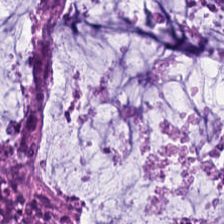H&E.
The tissue type is mucin.
